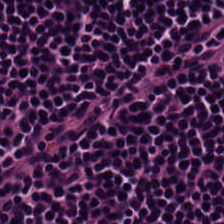Stain: hematoxylin-and-eosin stained section.
Resolution: 0.5 µm per pixel.
Acquisition: WSI patch.
Tissue class: lymphocyte aggregate.
